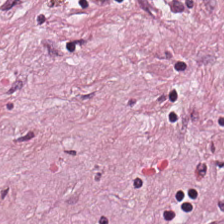FFPE. H&E-stained tissue section. Q: What does this patch show?
A: Desmoplastic stroma.
